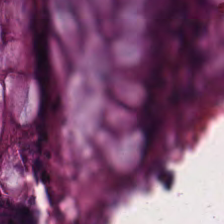Formalin-fixed paraffin-embedded section; H&E stain.
Benign colonic mucosa.
